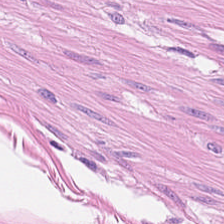Hematoxylin and eosin.
Q: Identify the tissue.
A: It is smooth-muscle tissue.
